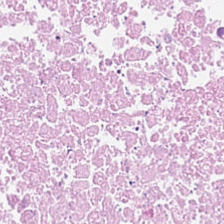Showing debris.
